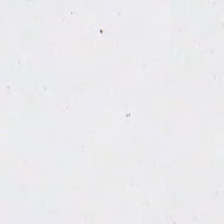0.5 µm per pixel · H&E-stained tissue section — Background.
